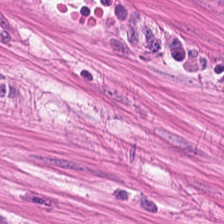H&E-stained tissue section.
Q: What is the predominant tissue type?
A: The field shows smooth-muscle tissue.
